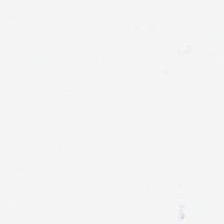Hematoxylin-and-eosin stained section; 224×224 px tile; 0.5 µm/px.
This field is background (no tissue).
